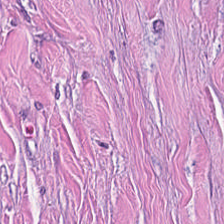Hematoxylin and eosin · 224×224 px patch. Predominantly cancer-associated stroma.
